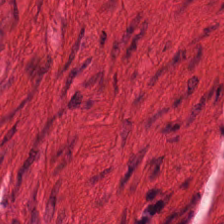H&E · FFPE tissue section · 20× equivalent magnification. Showing muscularis.
